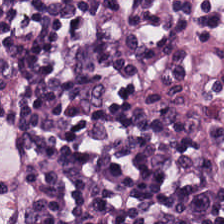Q: What type of tissue is this?
A: It is lymphoid infiltrate.
